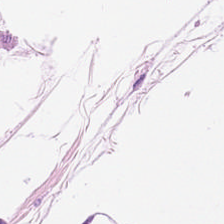Hematoxylin-and-eosin stained section — Tissue type — adipose.
